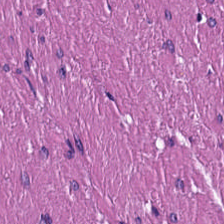H&E-stained tissue section — The tissue type is muscularis.
